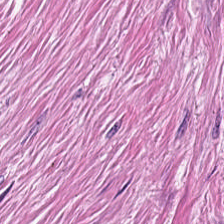H&E stain · 224×224 px tile · FFPE tissue section — This patch shows tumor stroma.
